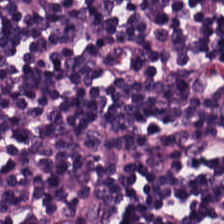Q: Identify the tissue.
A: The field shows lymphocytic infiltrate.
